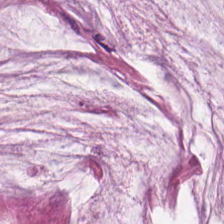Tissue: mucin.
